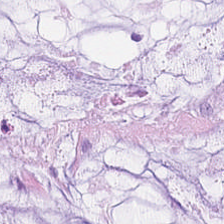The predominant tissue is mucus.
